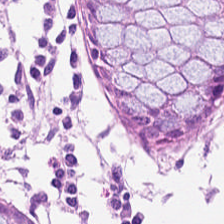Stain: H&E stain.
Preparation: formalin-fixed paraffin-embedded section.
Predominant tissue: normal colon mucosa.
